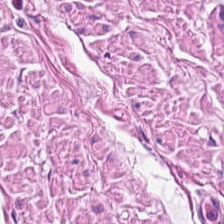Smooth muscle.
